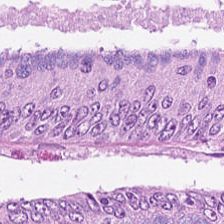Classification — colorectal adenocarcinoma.
